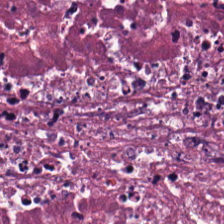Stain: hematoxylin-and-eosin stained section.
Acquisition: whole-slide-image patch.
Classification: cellular debris.
